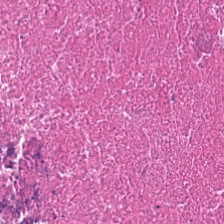Brightfield. Hematoxylin and eosin. Predominantly necrotic debris.
